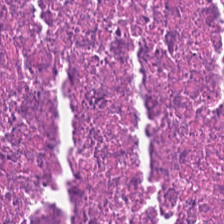H&E.
The tissue here is cellular debris.
